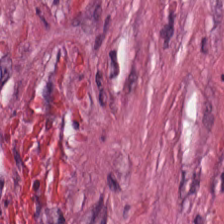The tissue here is tumor stroma.
